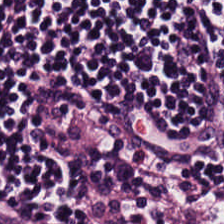H&E-stained tissue section; 20× equivalent magnification. This field is lymphocytic infiltrate.
